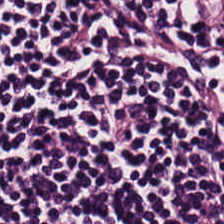H&E-stained tissue section.
Predominantly lymphocytic infiltrate.
